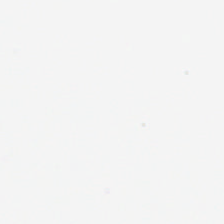Stain: H&E.
Content: no tissue.
